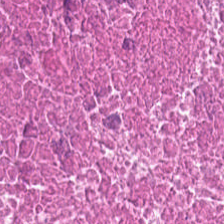H&E-stained tissue section. 224×224 px tile — Histology → cellular debris.
